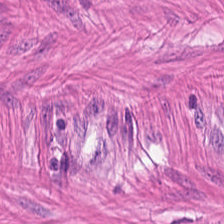Hematoxylin-and-eosin stained section. FFPE tissue section — Classification = smooth muscle.
